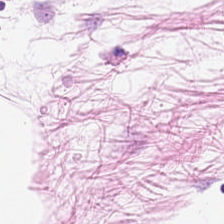Finding — fat tissue.
